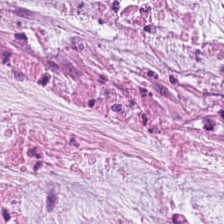FFPE; hematoxylin-and-eosin stained section; brightfield microscopy.
Impression — extracellular mucin.
